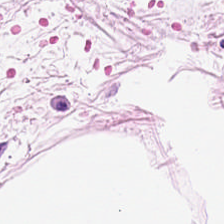WSI patch; 224×224 px tile; H&E-stained tissue section.
Showing adipose tissue.
